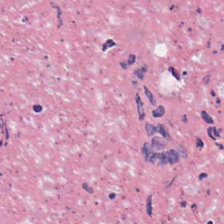Whole-slide-image patch. 224×224 px tile. H&E stain — This field is cellular debris.
